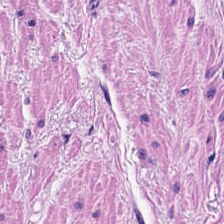Hematoxylin and eosin. Classification: muscularis.
